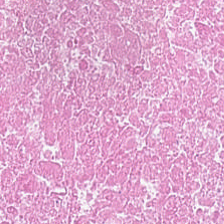Hematoxylin and eosin; 224×224 px tile. {"tissue_type": "debris"}
